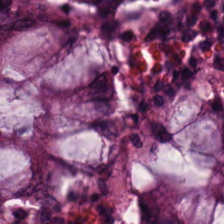Histology → benign colonic mucosa.
